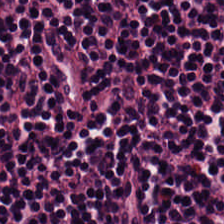Showing lymphoid infiltrate.
